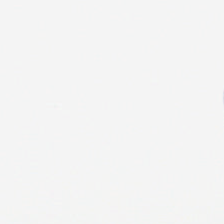H&E.
No tissue present; background only.
